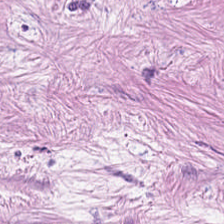The tissue here is desmoplastic stroma.
